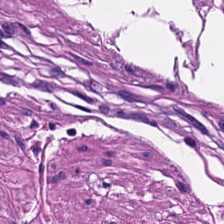Stain: hematoxylin-and-eosin stained section.
Tissue class: smooth muscle.
